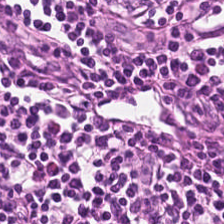Stain: H&E stain.
Resolution: 0.5 µm per pixel.
Tissue: lymphocyte aggregate.
